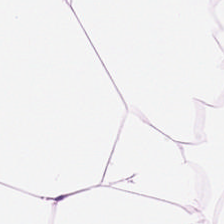H&E-stained tissue section; whole-slide-image patch. Q: Classify this patch.
A: This is adipose.
